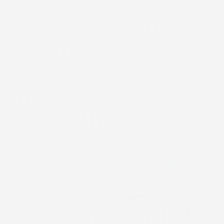Stain: H&E stain.
Resolution: 0.5 µm per pixel.
Field content: background.
